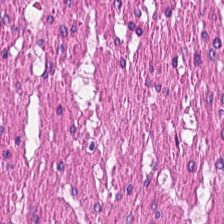The tissue type is smooth muscle.
